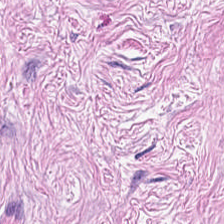FFPE. H&E. Predominant tissue = cancer-associated stroma.
